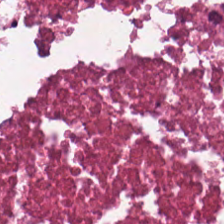20× equivalent magnification; H&E stain.
Predominant tissue = cellular debris.
